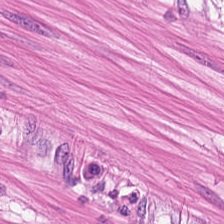20× equivalent magnification. Hematoxylin and eosin — Q: What tissue type is shown here?
A: This is muscularis.
